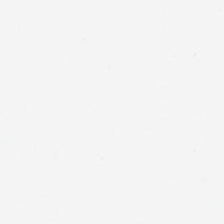Hematoxylin-and-eosin stained section — Empty field — background.
